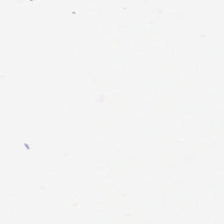Hematoxylin and eosin.
Q: What is shown in this field?
A: The field shows no tissue.
